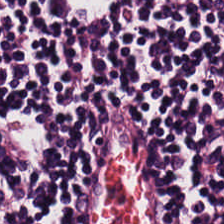Stain: H&E-stained tissue section.
Tissue class: lymphocyte aggregate.
